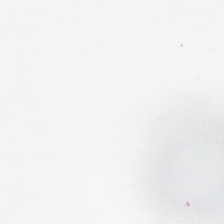Hematoxylin-and-eosin stained section · 224×224 pixel tile.
Field content: no tissue.
